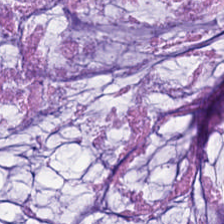Whole-slide-image patch; hematoxylin and eosin; formalin-fixed paraffin-embedded section.
Q: What does this patch show?
A: Mucin.
